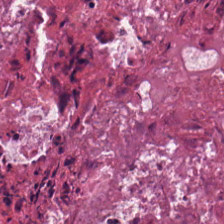H&E. Q: What is the predominant tissue type?
A: Necrotic debris.
